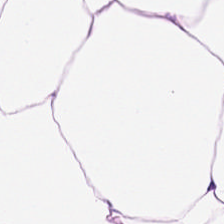H&E-stained tissue section; 20× equivalent magnification; whole-slide-image patch — This field is adipose tissue.
